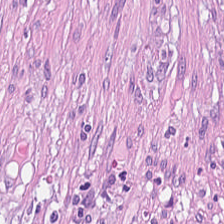Hematoxylin-and-eosin stained section.
Showing tumor-associated stroma.
